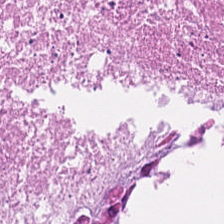The predominant tissue is necrotic debris.
